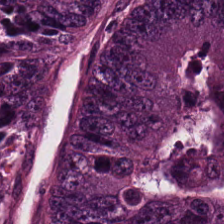Hematoxylin-and-eosin stained section; whole-slide-image patch. Predominantly colorectal adenocarcinoma epithelium.
